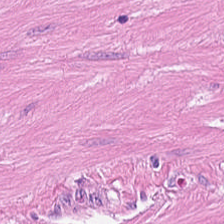H&E stain. This patch shows smooth-muscle tissue.
